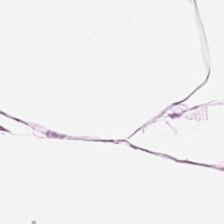Brightfield microscopy · H&E stain.
This patch shows fat tissue.
